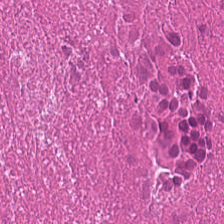H&E-stained tissue section — The tissue is cellular debris.
